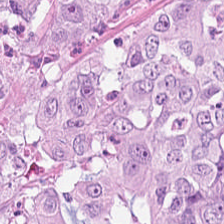Formalin-fixed paraffin-embedded section; H&E.
This field is colorectal adenocarcinoma epithelium.
